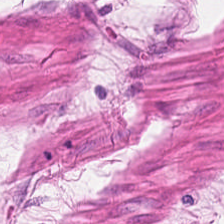{"tissue_type": "smooth muscle"}
